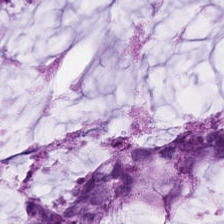Hematoxylin and eosin.
{"tissue_type": "mucin"}
